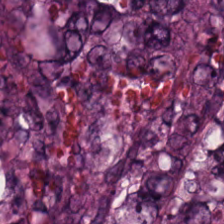Stain: H&E.
Classification: malignant epithelium.
